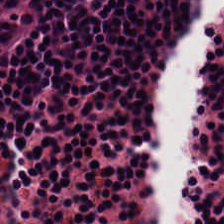Predominant tissue = lymphocyte aggregate.
